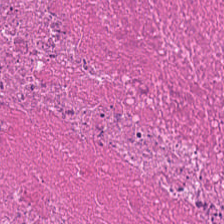H&E stain — This field is necrotic debris.
